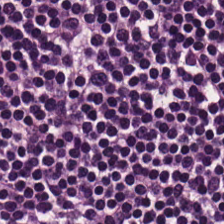H&E stain · 224×224 px tile · 0.5 µm per pixel. The tissue class is lymphocytes.
